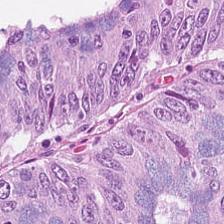224×224 px patch · H&E-stained tissue section.
Malignant epithelium.
